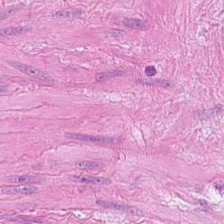Finding → muscularis.
